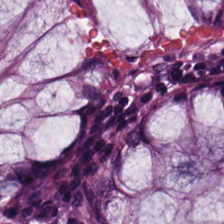H&E — benign colonic mucosa.
